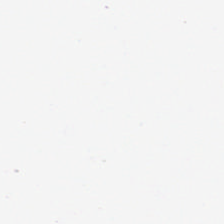WSI patch · FFPE · H&E-stained tissue section. Background.
